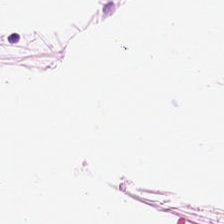Tissue class — adipose tissue.
